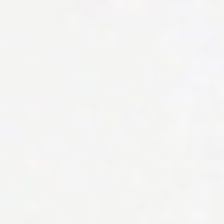FFPE tissue section. H&E-stained tissue section. Field content — empty background.
